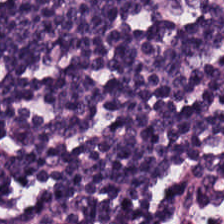H&E — Q: What tissue is shown?
A: Lymphocytic infiltrate.
